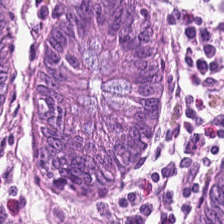H&E-stained tissue section — This patch shows normal colon mucosa.
